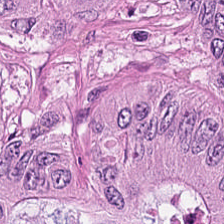Classification — colorectal adenocarcinoma.
